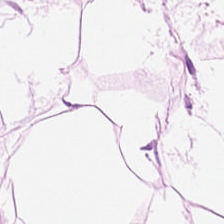0.5 microns per pixel · hematoxylin and eosin — This patch shows adipose tissue.
